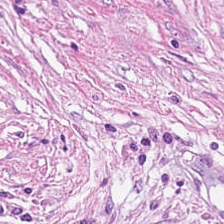The predominant tissue is cancer-associated stroma.
